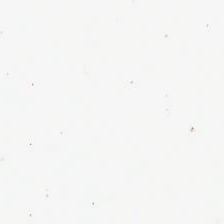The classification is empty background.
